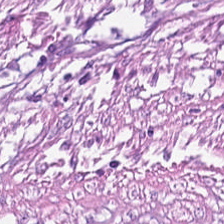Stain: H&E.
Resolution: 20× equivalent magnification.
Predominant tissue: tumor stroma.
